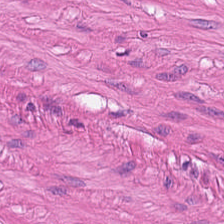Q: What is shown here?
A: It is smooth-muscle tissue.
